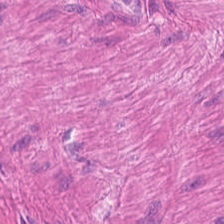Hematoxylin-and-eosin stained section. Showing muscularis.
